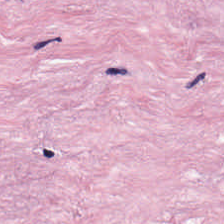0.5 µm/px · hematoxylin-and-eosin stained section. Predominant tissue = cancer-associated stroma.
